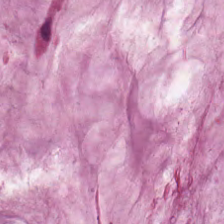H&E-stained tissue section · formalin-fixed paraffin-embedded section · 0.5 microns per pixel. Mucin.
